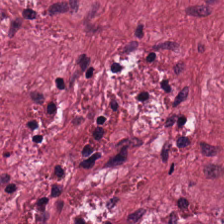WSI patch. Hematoxylin and eosin. Formalin-fixed paraffin-embedded section. Q: What is shown in this field?
A: This is desmoplastic stroma.
